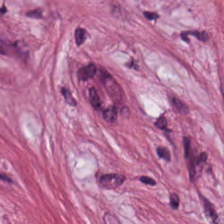Impression — cancer-associated stroma.
